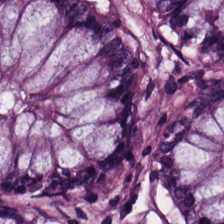H&E. Predominant tissue: normal colon mucosa.
